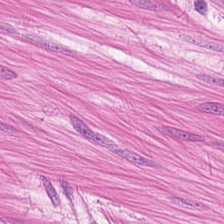WSI patch. 224×224 px tile. H&E stain.
The tissue type is muscularis.
